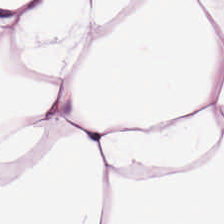H&E-stained tissue section — Tissue class: adipose tissue.
